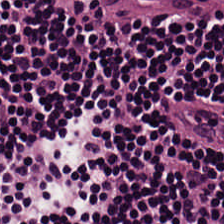Stain: hematoxylin-and-eosin stained section.
Tissue type: lymphocyte aggregate.
